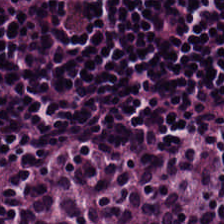Whole-slide-image patch; hematoxylin and eosin.
Tissue type — lymphocyte aggregate.
